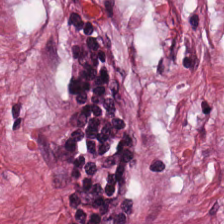Q: What type of tissue is this?
A: It is tumor-associated stroma.
